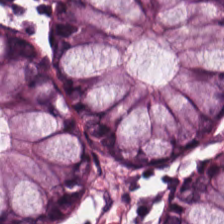The predominant tissue is normal colon mucosa.
